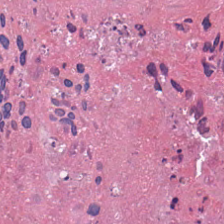Tissue class — cellular debris.
